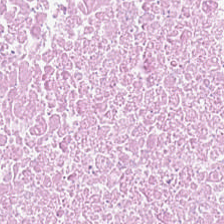Histology — debris.
